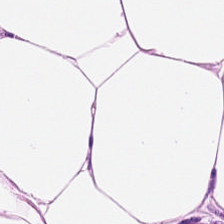Hematoxylin-and-eosin stained section — The tissue class is fat tissue.
